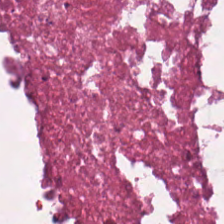0.5 µm per pixel; FFPE; H&E-stained tissue section. Predominantly necrotic debris.
